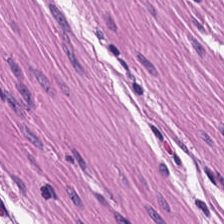0.5 µm/px. H&E-stained tissue section. Histology → smooth-muscle tissue.
